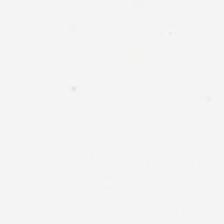Field content — no tissue.
